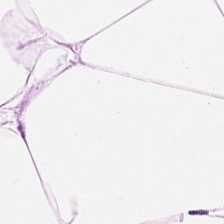Stain: hematoxylin and eosin.
Tissue type: adipocytes.
